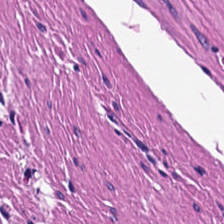H&E — The tissue here is smooth muscle.
